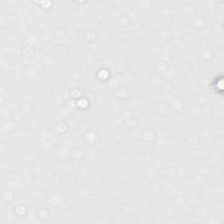H&E-stained tissue section. Q: What does this patch show?
A: The field shows background (no tissue).
